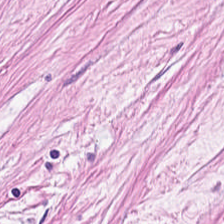H&E. This patch shows cancer-associated stroma.
